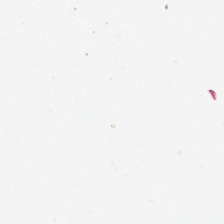Hematoxylin and eosin. 0.5 µm/px — Histology → background.
